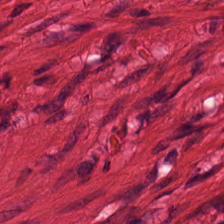Stain: H&E stain.
Classification: muscularis.
